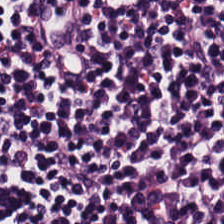H&E-stained tissue section.
This patch shows lymphocytic infiltrate.
